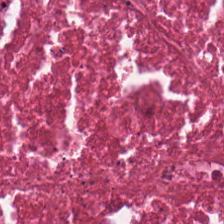Stain: H&E stain.
Resolution: 0.5 µm/px.
Acquisition: WSI patch.
Tissue class: debris.
